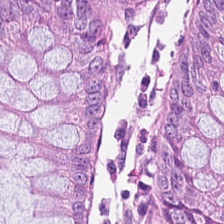Brightfield microscopy. Hematoxylin and eosin.
Tissue class = normal colonic mucosa.
